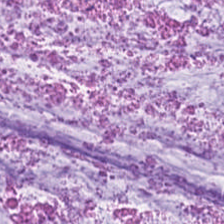Q: What does this patch show?
A: It is mucus.
